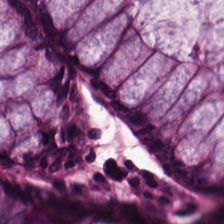H&E-stained tissue section. Normal colonic mucosa.
